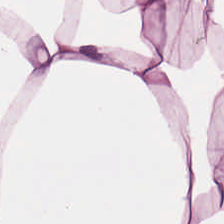Formalin-fixed paraffin-embedded section. H&E stain. Predominant tissue = fat tissue.
